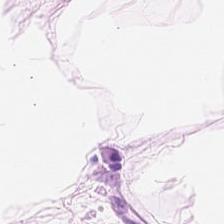Stain: hematoxylin and eosin.
Tile size: 224×224 px tile.
Acquisition: brightfield.
Tissue: adipose.
